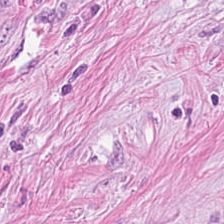Brightfield microscopy; hematoxylin-and-eosin stained section — The tissue here is cancer-associated stroma.
